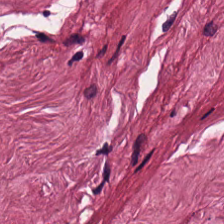H&E · 224×224 px tile. The predominant tissue is desmoplastic stroma.
